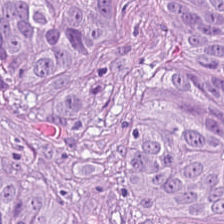Hematoxylin-and-eosin stained section. Showing adenocarcinoma.
